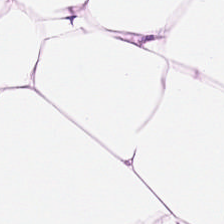H&E-stained tissue section. Tissue type: adipose.
